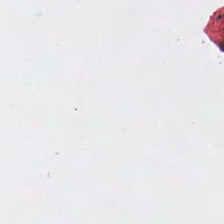H&E.
Q: What is shown here?
A: The field shows empty background.
